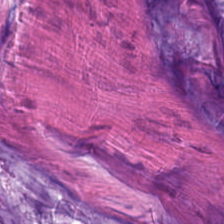Formalin-fixed paraffin-embedded section · H&E.
This patch shows extracellular mucin.
